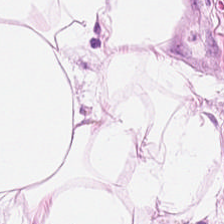Histology — adipocytes.
